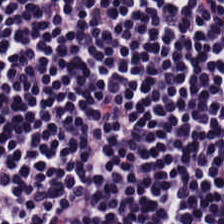Hematoxylin and eosin.
The classification is lymphocytes.
